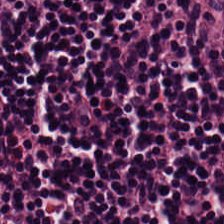FFPE; H&E-stained tissue section — The tissue here is lymphoid infiltrate.
